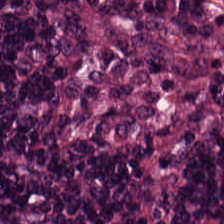H&E; brightfield microscopy. Impression — lymphocytic infiltrate.
